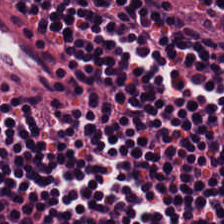Stain: H&E.
Tissue class: lymphocytes.
